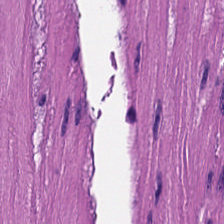H&E.
Smooth muscle.
